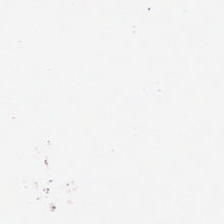Histology → empty background.
